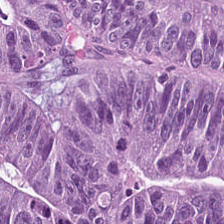Stain: H&E stain.
Tissue class: adenocarcinoma.
